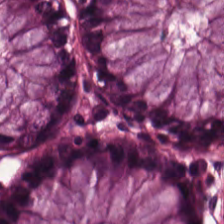Hematoxylin and eosin. Benign colonic mucosa.
